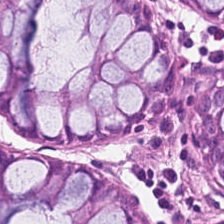WSI patch. H&E stain.
Tissue class = normal colonic mucosa.
